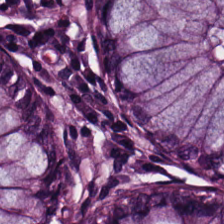0.5 microns per pixel · H&E-stained tissue section · brightfield — The tissue is benign colonic mucosa.
